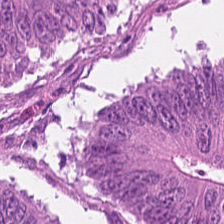224×224 px tile · H&E-stained tissue section. Tissue class: colorectal adenocarcinoma epithelium.
